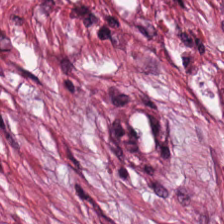{"tissue_type": "desmoplastic stroma"}
